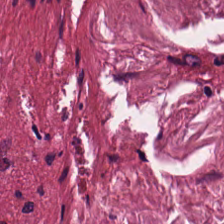H&E-stained tissue section. Q: What is the predominant tissue type?
A: The field shows desmoplastic stroma.
